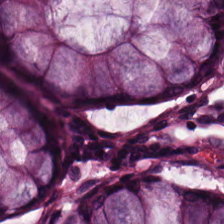H&E — normal colon mucosa.
